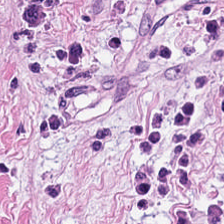Brightfield. Hematoxylin-and-eosin stained section. FFPE. Predominant tissue — tumor stroma.
